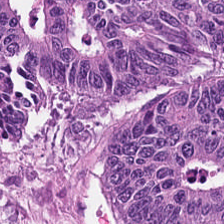FFPE tissue section; H&E-stained tissue section.
The predominant tissue is tumor epithelium.
